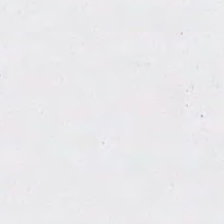Stain: H&E-stained tissue section.
Classification: background (no tissue).
